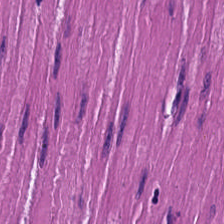The tissue class is smooth muscle.
